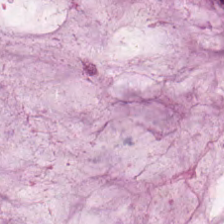Hematoxylin-and-eosin stained section.
The tissue here is mucus.
